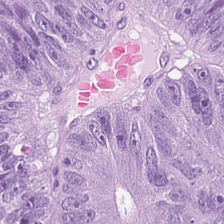H&E. Histology → tumor epithelium.
